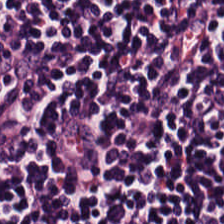Brightfield microscopy; 0.5 microns per pixel; H&E. The predominant tissue is lymphocytes.
